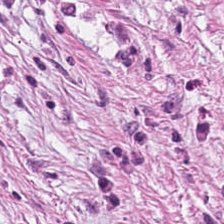Stain: H&E stain.
Acquisition: WSI patch.
Tissue: tumor stroma.
